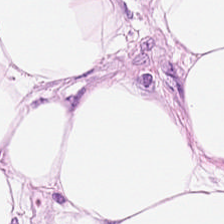H&E. 0.5 µm per pixel — Impression → adipocytes.
